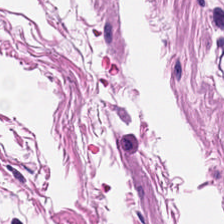Hematoxylin and eosin — Histology → smooth-muscle tissue.
